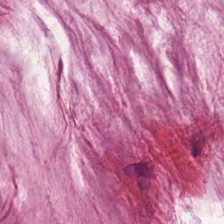FFPE tissue section · H&E · 224×224 px tile.
Histology → mucus.
